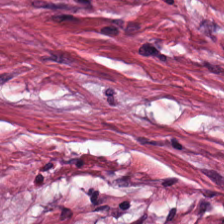H&E; formalin-fixed paraffin-embedded section — Tissue type: desmoplastic stroma.
